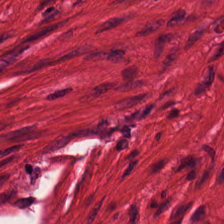Hematoxylin-and-eosin stained section · brightfield microscopy · 0.5 microns per pixel — Q: What type of tissue is this?
A: Smooth muscle.
